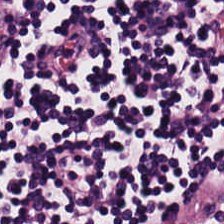Stain: hematoxylin-and-eosin stained section.
Tissue: lymphocyte aggregate.
